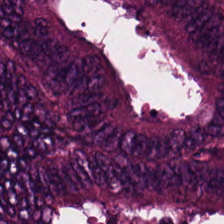Whole-slide-image patch; hematoxylin-and-eosin stained section.
{"tissue_type": "adenocarcinoma"}
